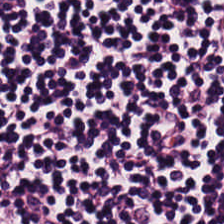This field is lymphocyte aggregate.
